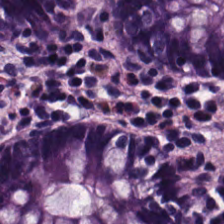H&E-stained tissue section showing normal colon mucosa.
